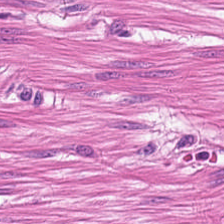Tissue type: smooth muscle.
